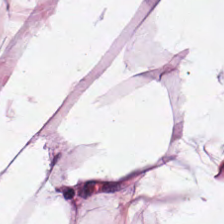Hematoxylin and eosin; brightfield microscopy.
Classification: adipose tissue.
